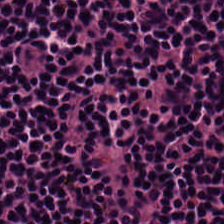H&E-stained section; the field shows lymphoid infiltrate.
